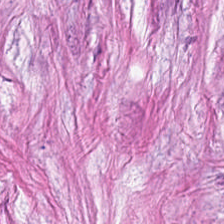H&E.
Showing desmoplastic stroma.
